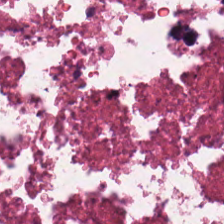The tissue here is debris.
